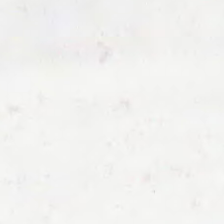Hematoxylin-and-eosin stained section. Classification: background.
